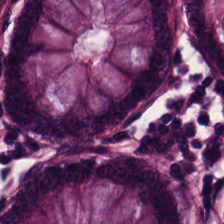H&E-stained tissue section — Q: What does this patch show?
A: It is normal colonic mucosa.
